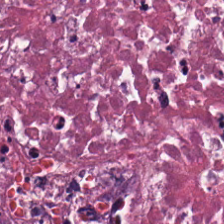Hematoxylin and eosin; 224×224 px patch — Tissue type = necrotic debris.
